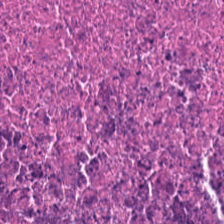Stain: hematoxylin and eosin.
Classification: cellular debris.
